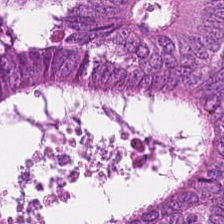Brightfield microscopy. H&E-stained tissue section.
Colorectal adenocarcinoma.
